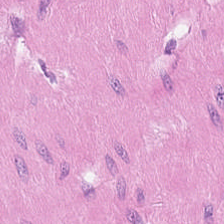Q: What is shown here?
A: Smooth muscle.
